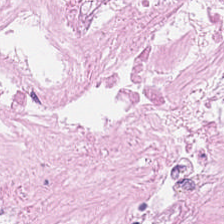H&E — Q: Identify the tissue.
A: The field shows necrotic debris.
